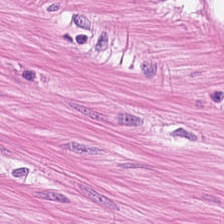H&E. The tissue here is smooth muscle.
